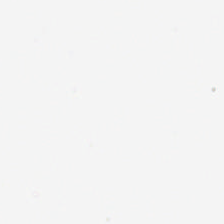H&E-stained tissue section — Q: What is shown in this field?
A: No tissue.
